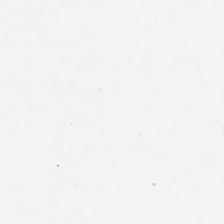Hematoxylin and eosin. Field content — background (no tissue).
